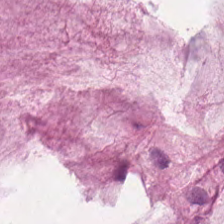H&E stain · brightfield · 0.5 microns per pixel — This patch shows mucin.
